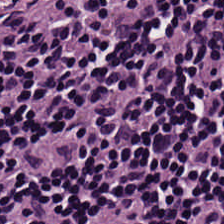Hematoxylin-and-eosin stained section · WSI patch · 224×224 px tile. The tissue is lymphoid infiltrate.
